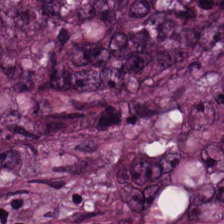H&E · 224×224 px patch.
Q: What is shown in this field?
A: Colorectal adenocarcinoma epithelium.
